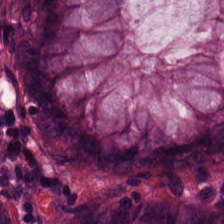Stain: hematoxylin-and-eosin stained section.
Tile size: 224×224 pixel tile.
Tissue class: normal colonic mucosa.
